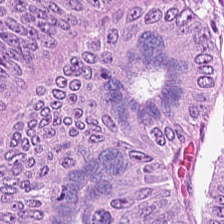0.5 microns per pixel. H&E-stained tissue section. Formalin-fixed paraffin-embedded section — This patch shows adenocarcinoma.
